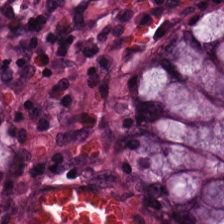Hematoxylin and eosin · FFPE tissue section. The tissue here is benign colonic mucosa.
